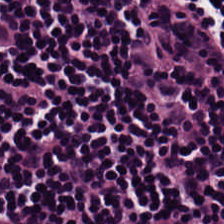Stain: hematoxylin-and-eosin stained section.
Tissue: lymphoid infiltrate.
